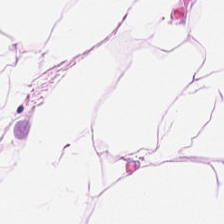H&E stain. Q: What is the predominant tissue type?
A: It is adipocytes.
